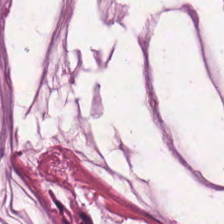H&E-stained tissue section.
Impression — mucus.
